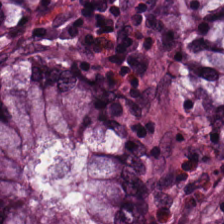Hematoxylin-and-eosin stained section. 0.5 µm/px. The predominant tissue is normal colonic mucosa.
